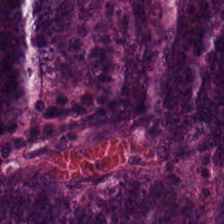Q: Identify the tissue.
A: It is colorectal adenocarcinoma epithelium.
